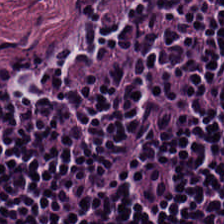Classification = lymphocyte aggregate.
